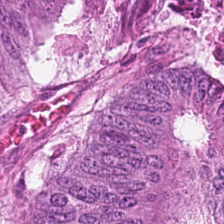H&E-stained tissue section — The tissue is colorectal adenocarcinoma.
